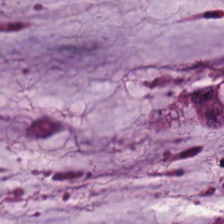Predominant tissue: mucus.
